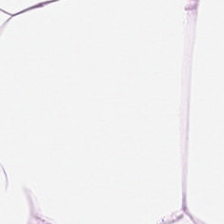Brightfield microscopy · formalin-fixed paraffin-embedded section · hematoxylin-and-eosin stained section. Q: What is shown here?
A: This is adipose tissue.
